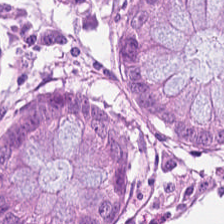This field is normal colon mucosa.
